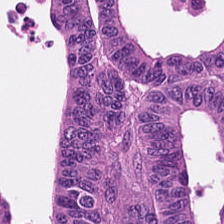H&E stain. The predominant tissue is tumor epithelium.
